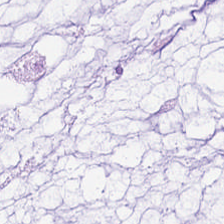Hematoxylin-and-eosin section: extracellular mucin.
